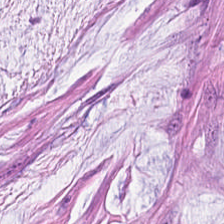Hematoxylin-and-eosin stained section. 224×224 px patch.
Q: What tissue type is shown here?
A: This is extracellular mucin.
